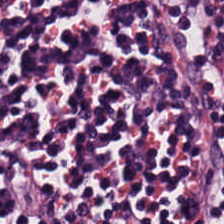FFPE · H&E · 0.5 microns per pixel.
Predominantly lymphocytes.
